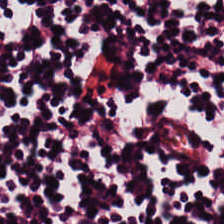Lymphocytes.
